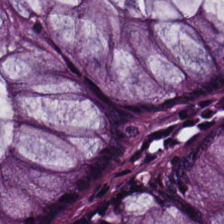Hematoxylin and eosin — Predominantly normal colonic mucosa.
